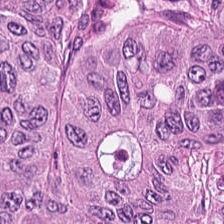H&E stain. Tissue type: malignant epithelium.
